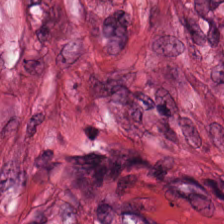H&E stain — Tumor-associated stroma.
